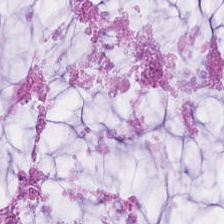H&E — The predominant tissue is mucus.
